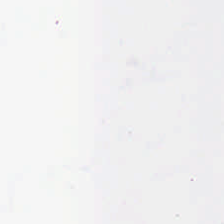Q: Classify this patch.
A: Background (no tissue).
